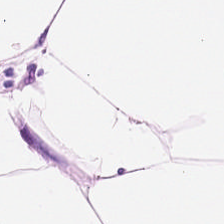Stain: hematoxylin and eosin.
Tile size: 224×224 px tile.
Resolution: 20× equivalent magnification.
Tissue type: fat tissue.
